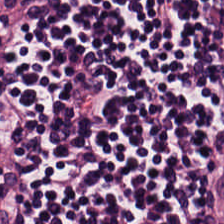H&E stain.
Q: What is shown here?
A: Lymphoid infiltrate.
